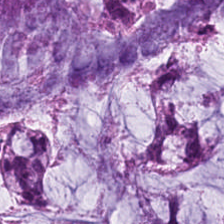Hematoxylin and eosin. 0.5 µm per pixel — Tissue class — mucin.
